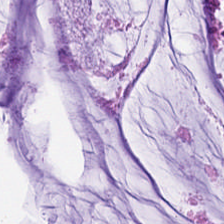Stain: H&E stain.
Tissue type: extracellular mucin.
